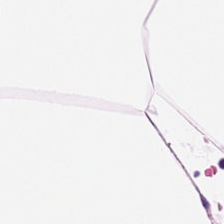Tissue class — adipose tissue.
